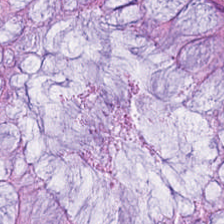Hematoxylin and eosin — Predominantly non-neoplastic colon mucosa.
